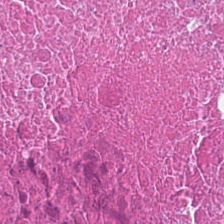H&E stain.
Predominantly necrotic debris.
